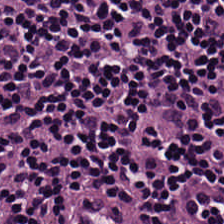Hematoxylin-and-eosin stained section — The predominant tissue is lymphocyte aggregate.
